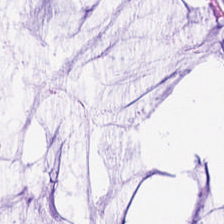H&E-stained section; the field shows extracellular mucin.
